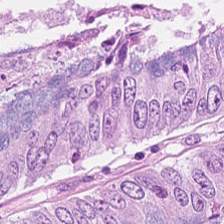Hematoxylin-and-eosin stained section. Classification: colorectal adenocarcinoma epithelium.
